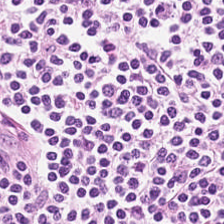Hematoxylin and eosin — This field is lymphocyte aggregate.
